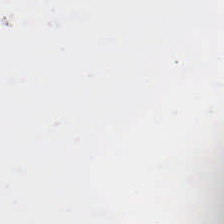224×224 px patch. H&E-stained tissue section. Empty field — empty background.
